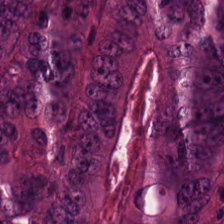The predominant tissue is colorectal adenocarcinoma.
